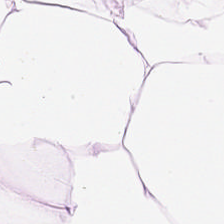H&E. Impression — adipocytes.
